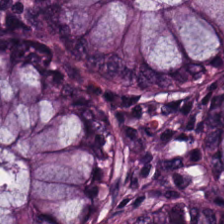Hematoxylin and eosin — The predominant tissue is normal colon mucosa.
